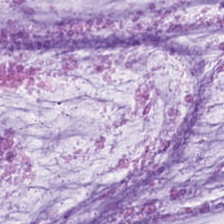224×224 pixel tile. Hematoxylin and eosin. FFPE tissue section.
The predominant tissue is mucin.
